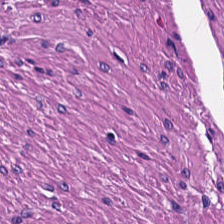224×224 pixel tile; formalin-fixed paraffin-embedded section; hematoxylin-and-eosin stained section — Q: What type of tissue is this?
A: This is smooth muscle.
